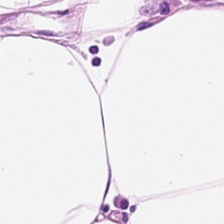H&E stain. FFPE. 0.5 µm per pixel.
Histology → adipocytes.
